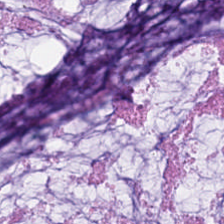The tissue class is mucus.
